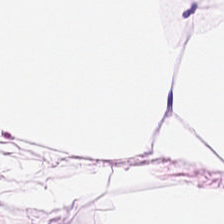Stain: hematoxylin-and-eosin stained section.
Classification: adipocytes.
